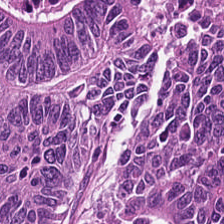The tissue here is colorectal adenocarcinoma epithelium.
